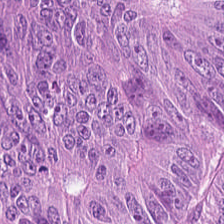H&E stain — Q: What type of tissue is this?
A: The field shows tumor epithelium.
